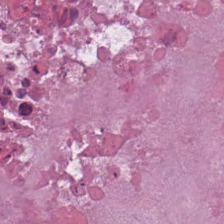Hematoxylin-and-eosin stained section.
The tissue is debris.
